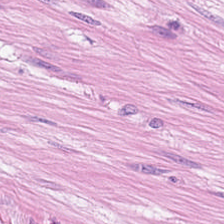Histology → smooth-muscle tissue.
